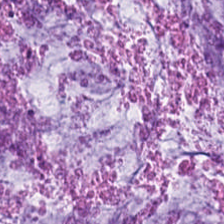Stain: hematoxylin and eosin.
Tissue class: extracellular mucin.
